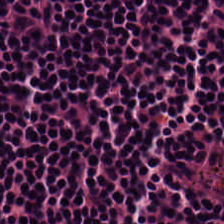H&E-stained tissue section. The tissue class is lymphocyte aggregate.
